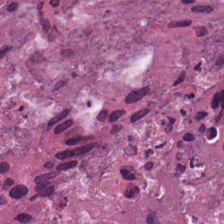H&E — This field is cellular debris.
